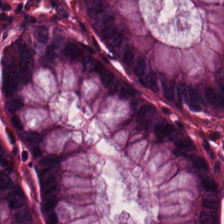H&E stain. WSI patch. Q: What is shown in this field?
A: The field shows benign colonic mucosa.
